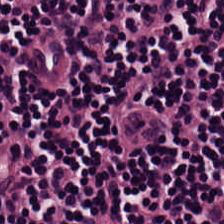Hematoxylin-and-eosin stained section · 0.5 µm/px — Tissue class — lymphoid infiltrate.
